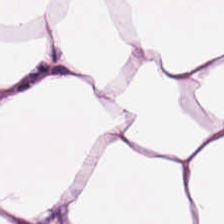Stain: hematoxylin and eosin.
Tissue type: adipocytes.
